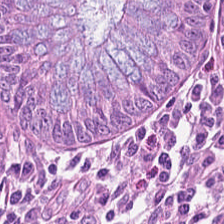Formalin-fixed paraffin-embedded section; hematoxylin and eosin. Q: What tissue type is shown here?
A: It is normal colonic mucosa.
